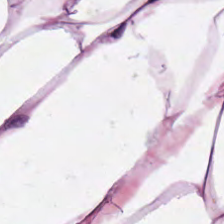H&E. FFPE. Classification: adipose.
